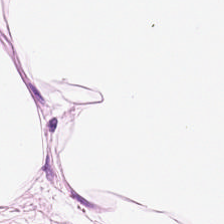H&E stain. Showing adipose tissue.
